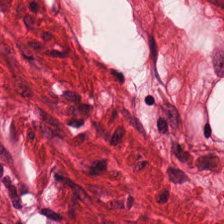H&E stain.
Predominantly smooth-muscle tissue.
